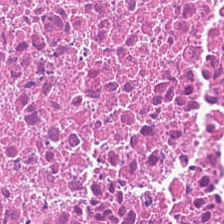Tissue type — necrotic debris.
